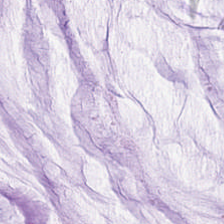Hematoxylin and eosin — Tissue — mucin.
